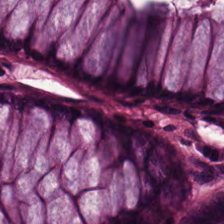Formalin-fixed paraffin-embedded section; 0.5 µm/px; H&E.
Predominant tissue — normal colonic mucosa.
